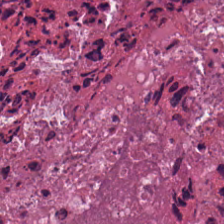FFPE tissue section; hematoxylin and eosin; 224×224 pixel tile — Tissue type = cellular debris.
